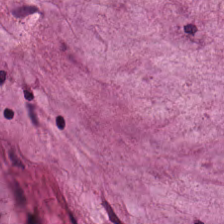Stain: H&E.
Predominant tissue: extracellular mucin.
